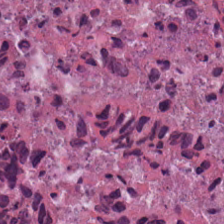224×224 px tile · whole-slide-image patch · H&E-stained tissue section — Q: What type of tissue is this?
A: Cellular debris.
